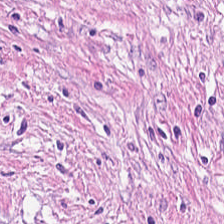H&E-stained tissue section; whole-slide-image patch.
The predominant tissue is tumor-associated stroma.
